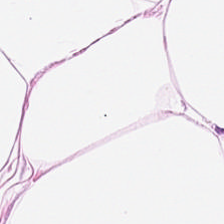Hematoxylin-and-eosin stained section. This field is fat tissue.
